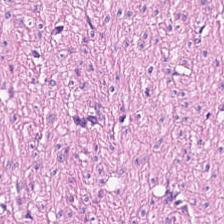Hematoxylin-and-eosin stained section.
Showing smooth-muscle tissue.
